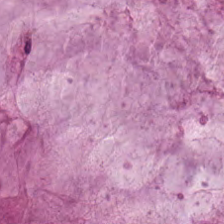H&E-stained tissue section. Q: What tissue type is shown here?
A: This is mucus.
